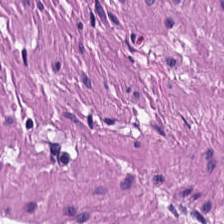H&E-stained tissue section.
Q: What tissue type is shown here?
A: This is smooth-muscle tissue.
